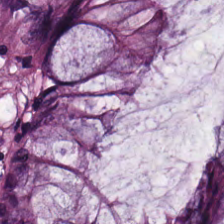H&E stain. {"tissue_type": "non-neoplastic colon mucosa"}
